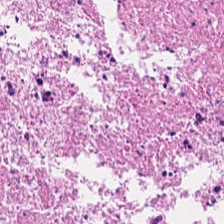Brightfield microscopy. H&E. 0.5 µm/px. Q: What does this patch show?
A: Debris.
